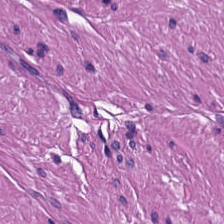H&E stain. Formalin-fixed paraffin-embedded section. 224×224 px patch — Tissue type = smooth muscle.
